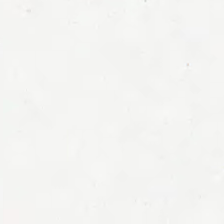Hematoxylin and eosin. Formalin-fixed paraffin-embedded section. Brightfield microscopy. Histology → no tissue.
